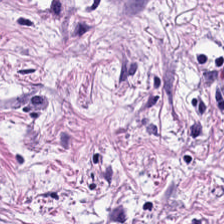This field is tumor-associated stroma.
